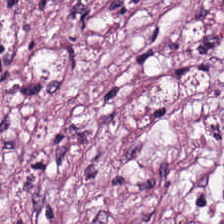Whole-slide-image patch · 0.5 µm/px · hematoxylin-and-eosin stained section — The tissue is cancer-associated stroma.
